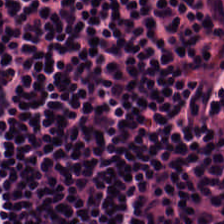H&E-stained tissue section; 0.5 µm per pixel.
Tissue: lymphoid infiltrate.
